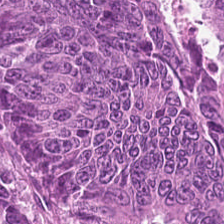H&E.
Q: What is shown in this field?
A: The field shows malignant epithelium.
